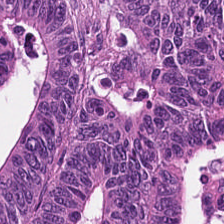H&E-stained tissue section.
Tumor epithelium.
